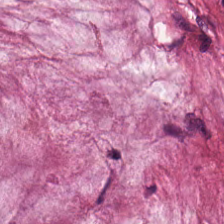Impression → mucin.
